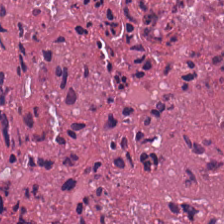H&E stain.
Predominantly cellular debris.
